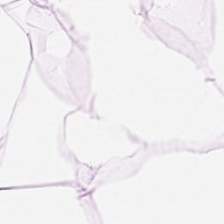20× equivalent magnification. H&E-stained tissue section. Formalin-fixed paraffin-embedded section.
Q: Identify the tissue.
A: Adipocytes.
